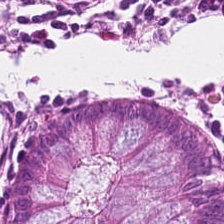H&E — This patch shows non-neoplastic colon mucosa.
